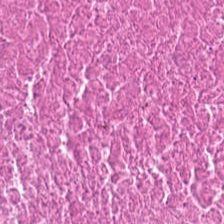Hematoxylin-and-eosin stained section.
Showing cellular debris.
